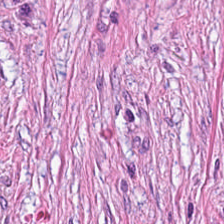Stain: hematoxylin and eosin.
Tissue: cancer-associated stroma.
